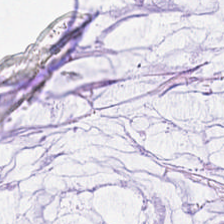H&E.
The tissue type is mucus.
